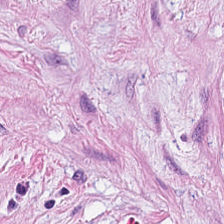H&E-stained tissue section. Q: Identify the tissue.
A: Desmoplastic stroma.
